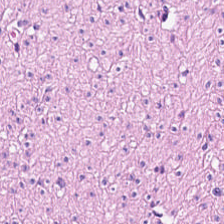Hematoxylin and eosin; 0.5 µm/px — Predominantly smooth-muscle tissue.
